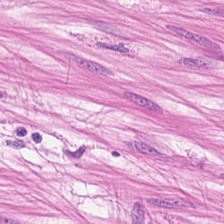Hematoxylin and eosin.
The tissue class is muscularis.
